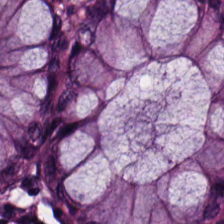H&E-stained tissue section. Predominantly benign colonic mucosa.
